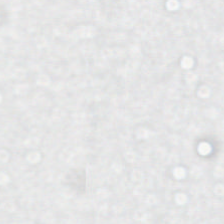Brightfield. Hematoxylin-and-eosin stained section. 20× equivalent magnification — Q: What is shown in this field?
A: It is no tissue.
